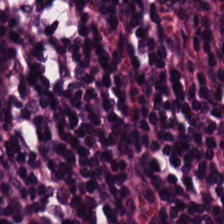Tissue class = lymphoid infiltrate.
